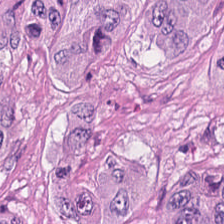Predominant tissue — adenocarcinoma.
